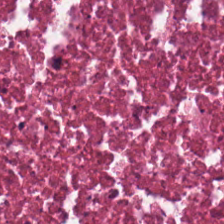Hematoxylin-and-eosin stained section · 224×224 px patch.
This field is debris.
